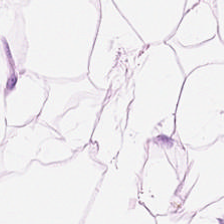Stain: hematoxylin-and-eosin stained section.
Tissue class: adipocytes.
